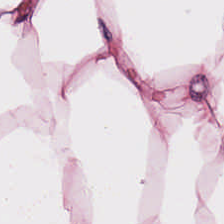H&E stain; 224×224 pixel tile; FFPE. Showing adipocytes.
